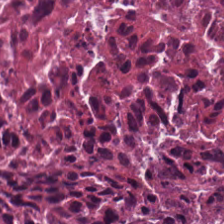H&E stain · 224×224 pixel tile.
Histology — cellular debris.
